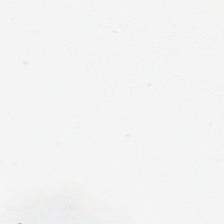H&E.
Finding → empty background.
